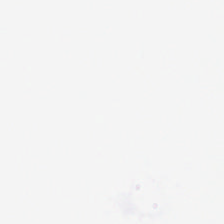Histology → no tissue.
